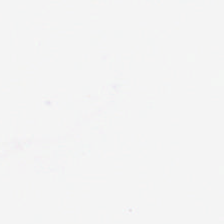H&E-stained tissue section. Background — no tissue in this field.
